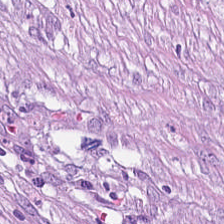224×224 px tile; H&E stain; brightfield — Predominantly cancer-associated stroma.
